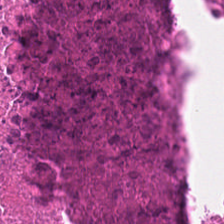Hematoxylin-and-eosin stained section; 224×224 pixel tile; FFPE — {"tissue_type": "cellular debris"}
